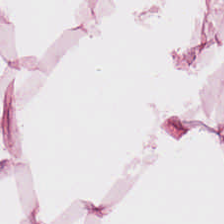H&E-stained tissue section; 20× equivalent magnification — Histology — adipose.
